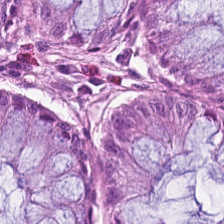Q: Classify this patch.
A: It is benign colonic mucosa.
